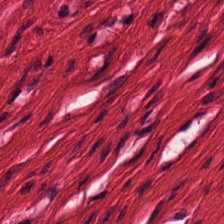Hematoxylin-and-eosin section: smooth muscle.
